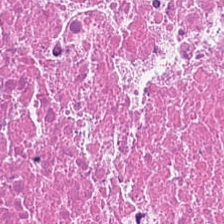Hematoxylin-and-eosin stained section. 224×224 px patch. Formalin-fixed paraffin-embedded section — Tissue class — cellular debris.
